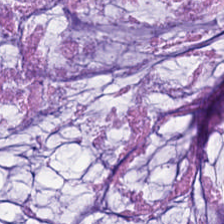H&E — Showing mucus.
